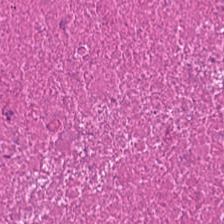Q: What tissue type is shown here?
A: The field shows debris.
